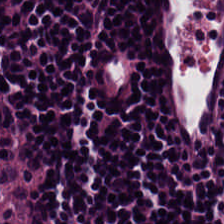Whole-slide-image patch; H&E-stained tissue section — The tissue here is lymphocyte aggregate.
